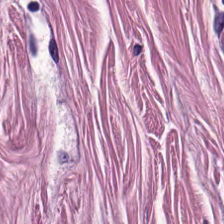H&E · formalin-fixed paraffin-embedded section.
This patch shows smooth muscle.
